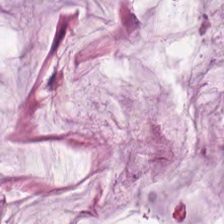H&E stain.
The tissue class is extracellular mucin.
